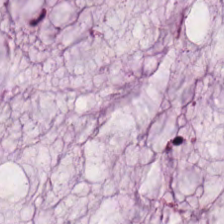Predominantly extracellular mucin.
